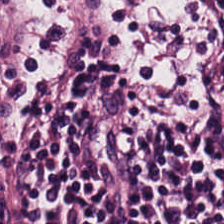H&E-stained tissue section — The tissue here is lymphocytes.
